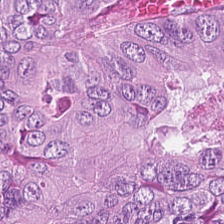Whole-slide-image patch · FFPE · hematoxylin and eosin. This patch shows adenocarcinoma.
